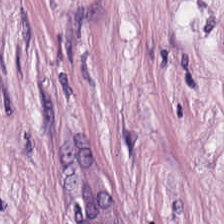Stain: H&E-stained tissue section.
Resolution: 0.5 µm per pixel.
Classification: tumor stroma.
